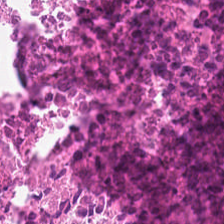Showing necrotic debris.
